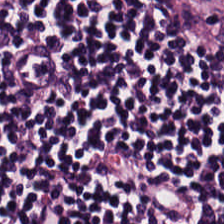Predominantly lymphoid infiltrate.
